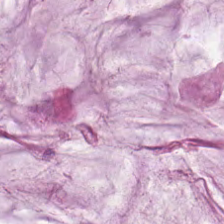0.5 microns per pixel. H&E stain.
Q: What is shown in this field?
A: The field shows mucin.
